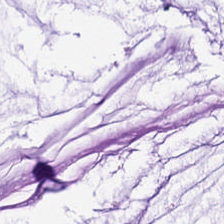H&E. FFPE. Showing mucus.
